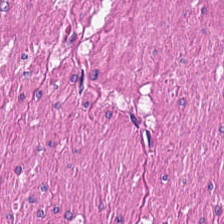H&E — Predominantly smooth-muscle tissue.
